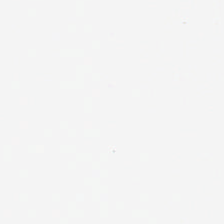H&E-stained tissue section.
Q: What does this patch show?
A: Empty background.
